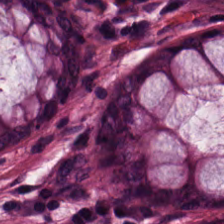H&E — Predominantly benign colonic mucosa.
